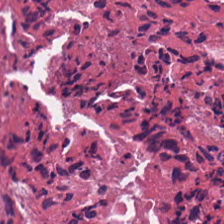The classification is debris.
